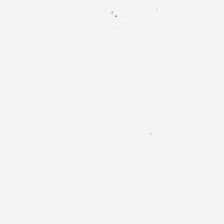Hematoxylin and eosin — {"content": "background (no tissue)"}
